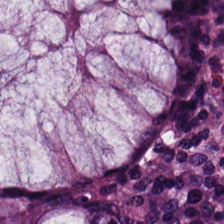224×224 pixel tile; hematoxylin and eosin.
Q: What is shown here?
A: The field shows normal colon mucosa.
